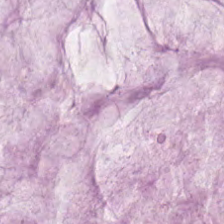H&E stain — Q: Identify the tissue.
A: The field shows mucin.
